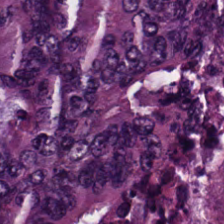Hematoxylin and eosin; FFPE.
This patch shows tumor epithelium.
